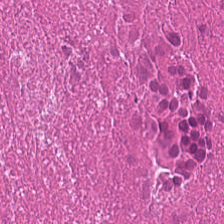This field is cellular debris.
